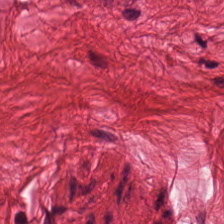Whole-slide-image patch · 224×224 pixel tile · hematoxylin and eosin.
This field is smooth muscle.
